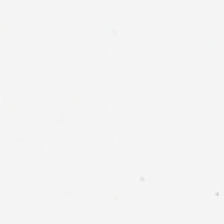H&E stain. 0.5 µm/px.
This field is background (no tissue).
